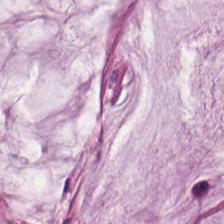H&E — {"tissue_type": "mucus"}
